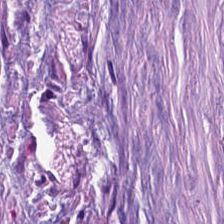Tissue — tumor-associated stroma.
